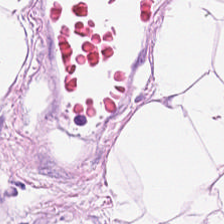H&E stain; 0.5 µm/px; FFPE tissue section — {"tissue_type": "adipose"}
